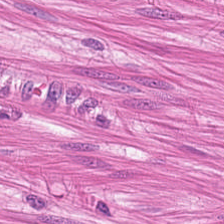FFPE. Hematoxylin and eosin.
This patch shows smooth-muscle tissue.
